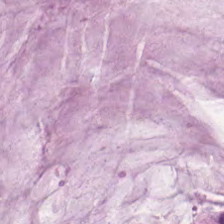Histology — mucus.
